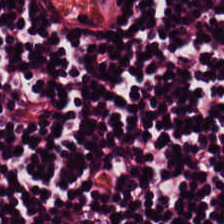Q: Classify this patch.
A: This is lymphocyte aggregate.
